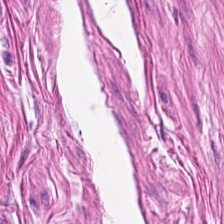H&E. Predominantly smooth muscle.
